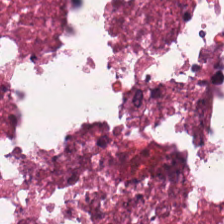Predominantly cellular debris.
